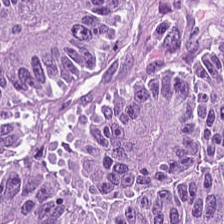Histology — adenocarcinoma.
